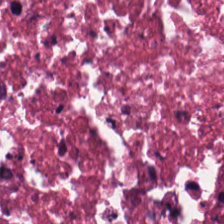H&E. Brightfield microscopy. Formalin-fixed paraffin-embedded section.
Predominantly cellular debris.
